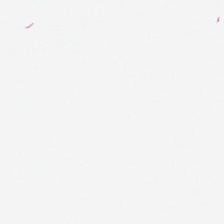Stain: H&E stain.
Tile size: 224×224 px patch.
Resolution: 20× equivalent magnification.
Classification: empty background.
